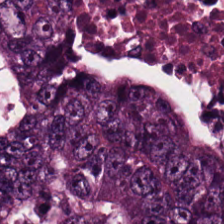Showing tumor epithelium.
